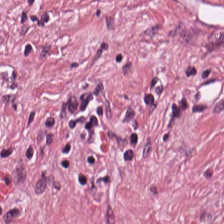Stain: hematoxylin and eosin.
Tissue class: tumor stroma.
